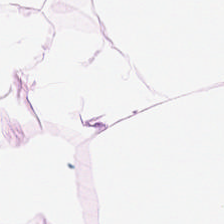The tissue is adipose tissue.
